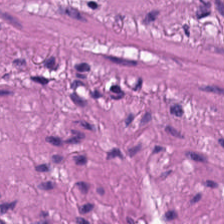H&E-stained section; the field shows muscularis.
